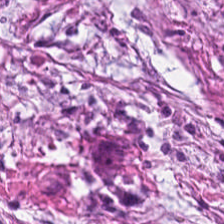H&E-stained tissue section. Tissue type: cancer-associated stroma.
